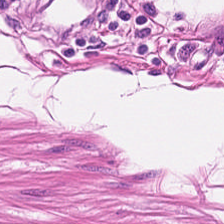Hematoxylin-and-eosin stained section.
Classification — muscularis.
